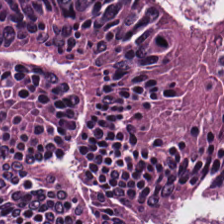FFPE tissue section · brightfield microscopy · hematoxylin and eosin. Predominantly colorectal adenocarcinoma epithelium.
